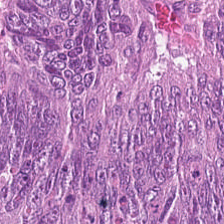H&E-stained tissue section. Predominant tissue — tumor epithelium.
